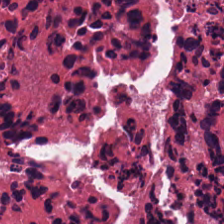Stain: hematoxylin and eosin.
Classification: debris.
